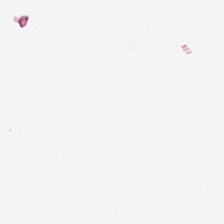Hematoxylin-and-eosin stained section. Content: background (no tissue).
